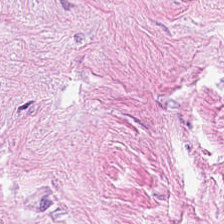This patch shows cancer-associated stroma.
